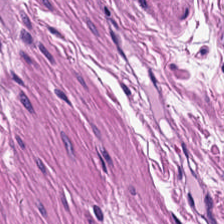The classification is smooth muscle.
